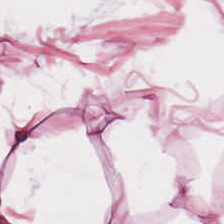FFPE. H&E stain. 20× equivalent magnification.
Adipocytes.
